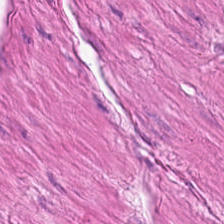H&E-stained tissue section. Whole-slide-image patch — This field is smooth-muscle tissue.
